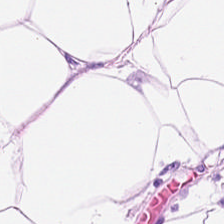H&E; whole-slide-image patch; 0.5 µm per pixel. Showing adipose.
